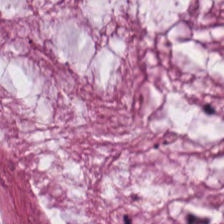H&E stain.
The predominant tissue is mucin.
